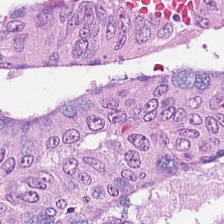Stain: H&E-stained tissue section.
Tissue type: colorectal adenocarcinoma epithelium.
